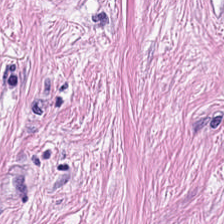Impression → desmoplastic stroma.
